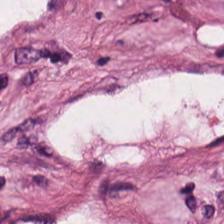Hematoxylin-and-eosin stained section.
This patch shows cancer-associated stroma.
